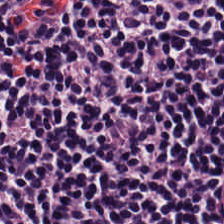H&E.
This field is lymphocytic infiltrate.
